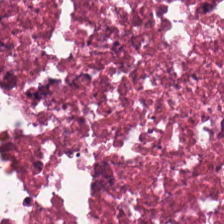Stain: H&E-stained tissue section.
Classification: cellular debris.
